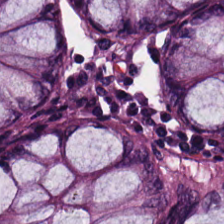H&E.
Classification = normal colon mucosa.
